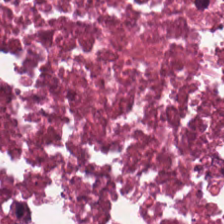Hematoxylin-and-eosin stained section; brightfield microscopy.
{"tissue_type": "necrotic debris"}
